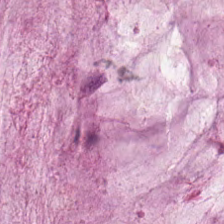H&E stain — Q: Classify this patch.
A: Mucin.
